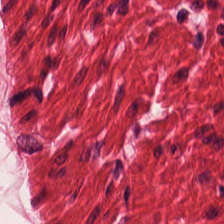Hematoxylin-and-eosin stained section; whole-slide-image patch.
Classification — smooth-muscle tissue.
